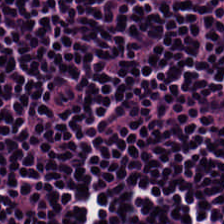Q: What tissue type is shown here?
A: The field shows lymphoid infiltrate.
